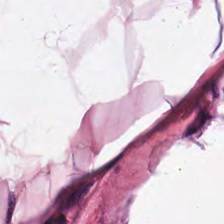H&E-stained section; the field shows adipose.
